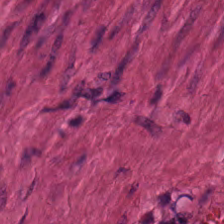H&E stain. Q: Identify the tissue.
A: The field shows muscularis.
